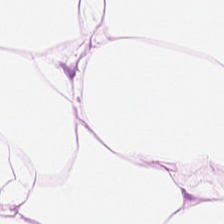Stain: H&E-stained tissue section.
Acquisition: WSI patch.
Predominant tissue: adipocytes.
